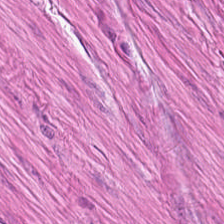Stain: hematoxylin and eosin.
Classification: smooth muscle.
